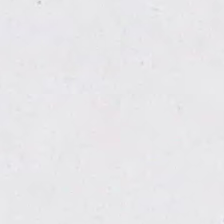H&E-stained tissue section · WSI patch.
Impression — background.
